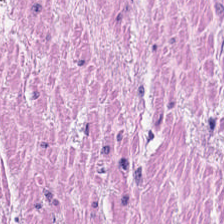Q: What tissue type is shown here?
A: Muscularis.
